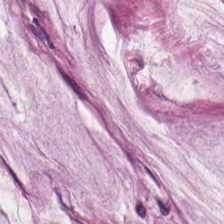Hematoxylin-and-eosin stained section — Mucus.
